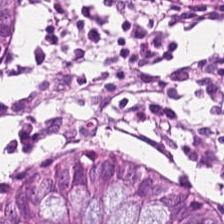Stain: hematoxylin and eosin.
Resolution: 20× equivalent magnification.
Tissue type: normal colon mucosa.
